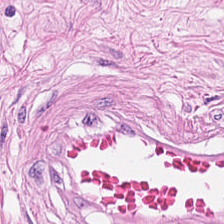Hematoxylin-and-eosin stained section; 0.5 µm per pixel — Tissue = muscularis.
